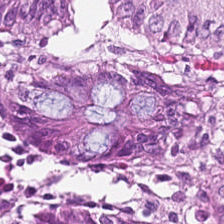Hematoxylin-and-eosin section: normal colon mucosa.
